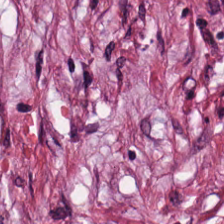Hematoxylin-and-eosin stained section — Impression — desmoplastic stroma.
